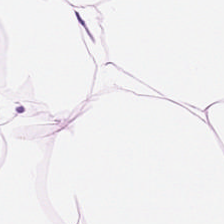Tissue class = adipose tissue.
